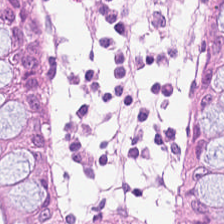Finding → normal colon mucosa.
